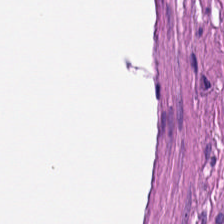H&E.
Smooth-muscle tissue.
